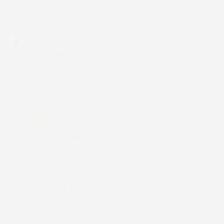H&E stain.
This field is background (no tissue).
